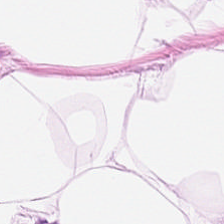H&E. Showing adipose tissue.
